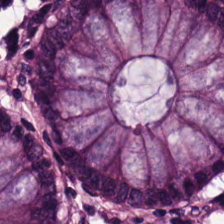Stain: H&E-stained tissue section.
Tissue: normal colonic mucosa.
